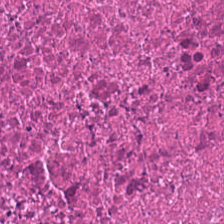Stain: hematoxylin and eosin.
Classification: necrotic debris.
